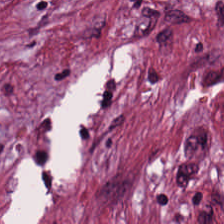The tissue here is tumor-associated stroma.
